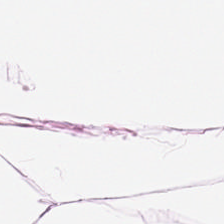Hematoxylin-and-eosin stained section.
This patch shows adipocytes.
